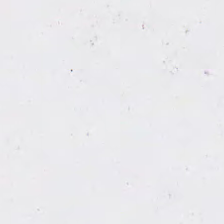H&E stain — Classification: no tissue.
